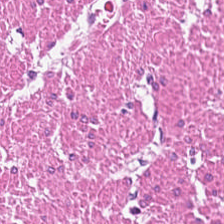H&E.
The predominant tissue is muscularis.
